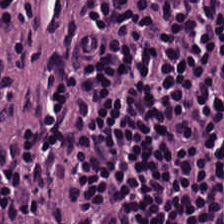H&E-stained tissue section showing lymphocytic infiltrate.
